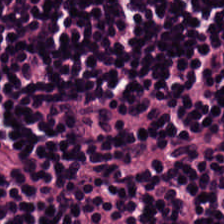H&E stain. 224×224 px patch. Q: What is shown here?
A: It is lymphoid infiltrate.
